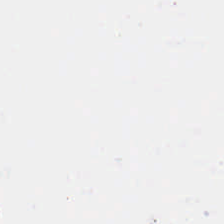H&E stain; 224×224 px patch.
The classification is no tissue.
